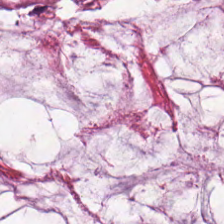Histology — mucin.
